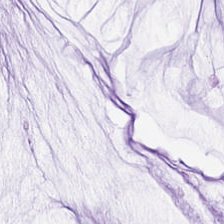Stain: H&E stain.
Preparation: FFPE.
Classification: extracellular mucin.
